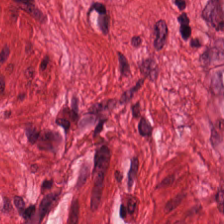H&E · FFPE — Tissue class = muscularis.
